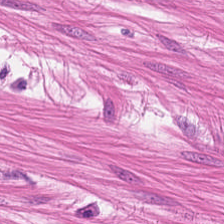H&E stain. This field is muscularis.
